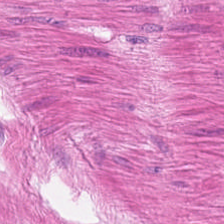Hematoxylin and eosin.
The predominant tissue is muscularis.
